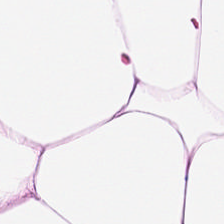H&E stain. 224×224 px tile. The tissue class is fat tissue.
